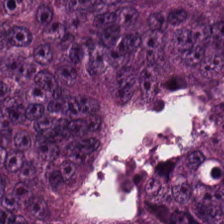The predominant tissue is adenocarcinoma.
